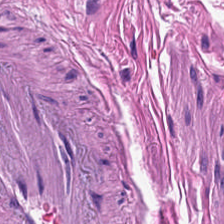0.5 microns per pixel · hematoxylin and eosin. Showing smooth muscle.
